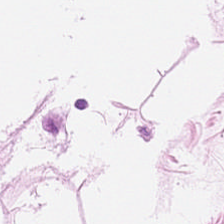20× equivalent magnification; H&E.
Q: What does this patch show?
A: This is adipose tissue.
